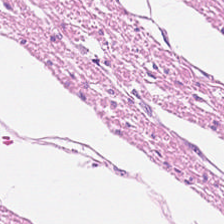Hematoxylin-and-eosin stained section — Muscularis.
